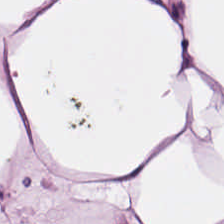Hematoxylin-and-eosin stained section · formalin-fixed paraffin-embedded section.
Histology — adipose.
